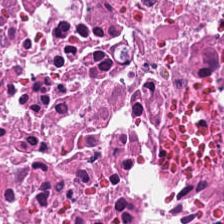Q: What tissue is shown?
A: The field shows necrotic debris.
